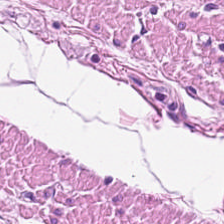Hematoxylin-and-eosin stained section.
Q: What is shown here?
A: It is smooth muscle.
